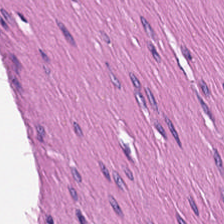Impression → muscularis.
